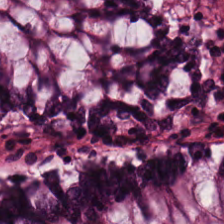20× equivalent magnification · 224×224 px patch · hematoxylin-and-eosin stained section — Tissue = non-neoplastic colon mucosa.
